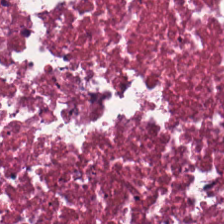H&E.
{"tissue_type": "cellular debris"}
